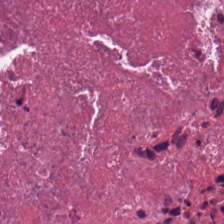The predominant tissue is cellular debris.
